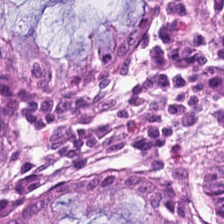Hematoxylin-and-eosin section: normal colon mucosa.
